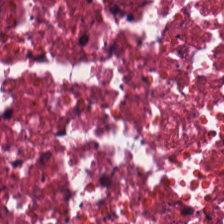H&E-stained tissue section — Finding — cellular debris.
